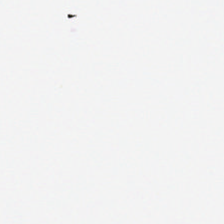0.5 microns per pixel; 224×224 px patch; hematoxylin-and-eosin stained section.
The field content is empty background.
